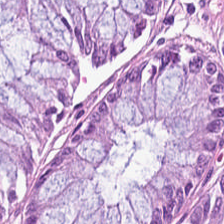H&E. Predominantly non-neoplastic colon mucosa.
